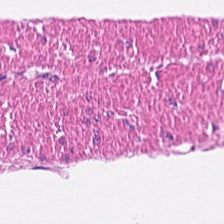Hematoxylin and eosin · WSI patch.
Q: Identify the tissue.
A: The field shows smooth muscle.
